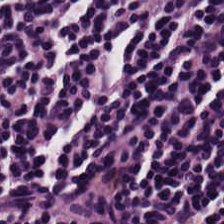Stain: hematoxylin-and-eosin stained section.
Tissue type: lymphoid infiltrate.
